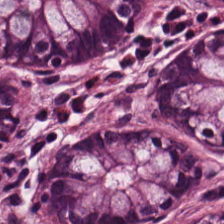H&E stain; 0.5 µm per pixel; 224×224 px patch. Finding → normal colonic mucosa.
